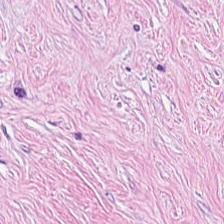H&E.
Finding — desmoplastic stroma.
